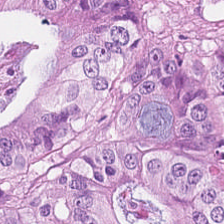H&E · 20× equivalent magnification — The classification is colorectal adenocarcinoma epithelium.
